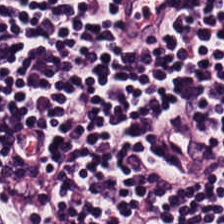The tissue type is lymphocytes.
